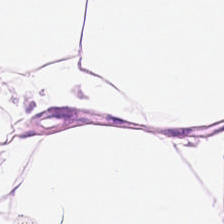H&E-stained tissue section. The tissue class is fat tissue.
